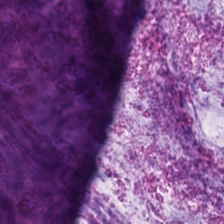Hematoxylin and eosin; formalin-fixed paraffin-embedded section; brightfield microscopy.
{"tissue_type": "mucus"}
